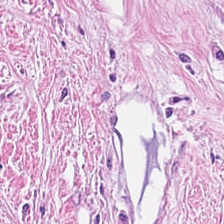0.5 microns per pixel. H&E stain — Classification — tumor-associated stroma.
